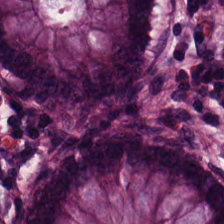H&E · whole-slide-image patch · 0.5 µm per pixel.
This patch shows normal colonic mucosa.
